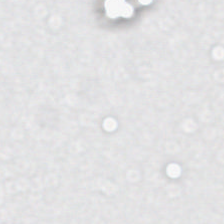Hematoxylin-and-eosin stained section.
Background — no tissue in this field.
